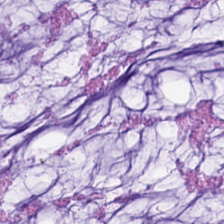H&E; formalin-fixed paraffin-embedded section.
Impression — extracellular mucin.
